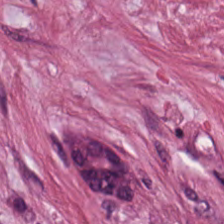Tissue class — desmoplastic stroma.
